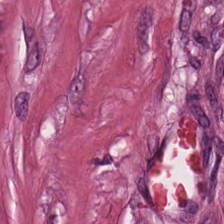H&E-stained tissue section. Tissue: desmoplastic stroma.
